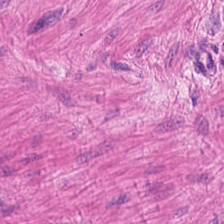FFPE; 224×224 px patch; H&E stain.
Predominantly smooth-muscle tissue.
